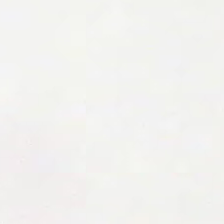Stain: H&E.
Classification: background.
